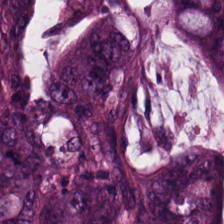Stain: hematoxylin and eosin.
Predominant tissue: colorectal adenocarcinoma.
